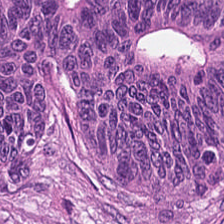Hematoxylin-and-eosin stained section. Q: What is shown here?
A: Colorectal adenocarcinoma.
